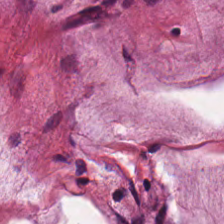H&E stain. {"tissue_type": "mucus"}
